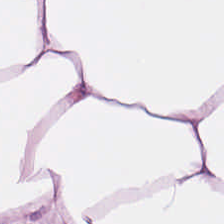{"tissue_type": "fat tissue"}
